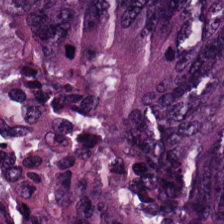The predominant tissue is tumor epithelium.
